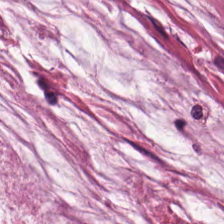224×224 pixel tile · FFPE · H&E stain — The tissue here is mucin.
